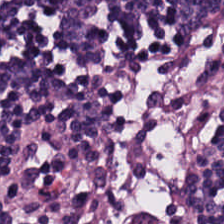H&E. The predominant tissue is lymphocyte aggregate.
